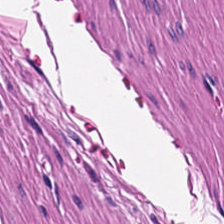Stain: H&E stain.
Acquisition: brightfield.
Tile size: 224×224 px patch.
Classification: smooth-muscle tissue.
